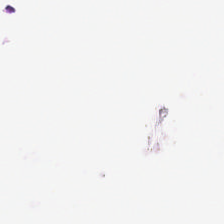Whole-slide-image patch · H&E stain · 0.5 µm/px. No tissue present; background only.
